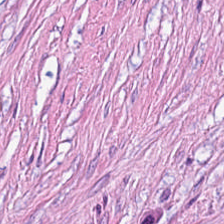Hematoxylin-and-eosin stained section.
Tumor stroma.
